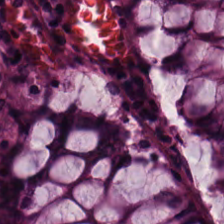0.5 µm per pixel; hematoxylin-and-eosin stained section. This field is non-neoplastic colon mucosa.
